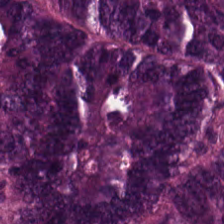Q: What tissue type is shown here?
A: The field shows tumor epithelium.
